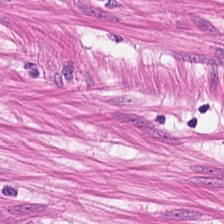Hematoxylin-and-eosin stained section; 224×224 pixel tile — Classification — smooth-muscle tissue.
